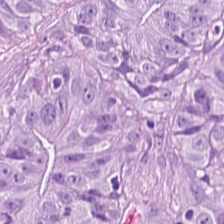Stain: H&E-stained tissue section.
Tissue: colorectal adenocarcinoma epithelium.
